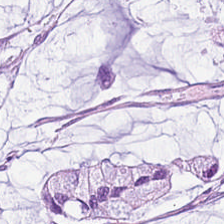H&E stain.
Predominant tissue: mucus.
